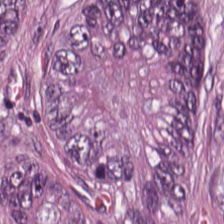Hematoxylin and eosin. Q: What tissue is shown?
A: It is colorectal adenocarcinoma epithelium.
